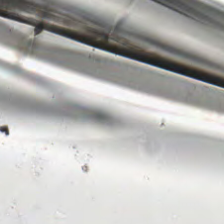H&E. FFPE tissue section. 224×224 px patch.
Impression → no tissue.
